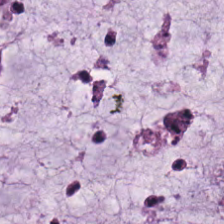Tissue class — mucin.
